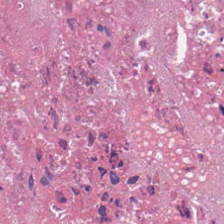FFPE tissue section. Hematoxylin and eosin. 224×224 px tile. Cellular debris.
